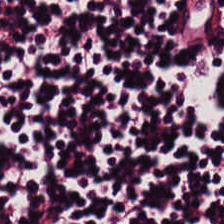H&E. Classification — lymphocytes.
